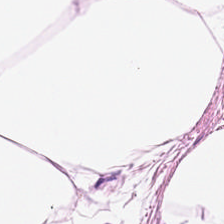{"tissue_type": "adipose"}
